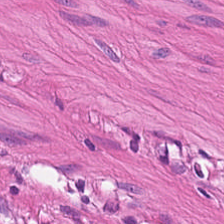Brightfield microscopy; FFPE tissue section; H&E. Classification: smooth muscle.
